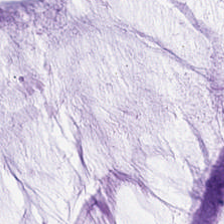FFPE tissue section. Hematoxylin and eosin — Tissue: mucus.
